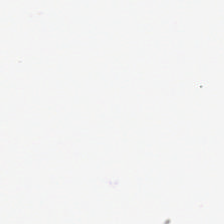Hematoxylin and eosin — The field content is background (no tissue).
